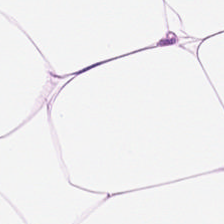Hematoxylin and eosin.
Tissue = adipose tissue.
